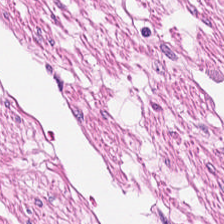Hematoxylin and eosin — Histology — smooth muscle.
